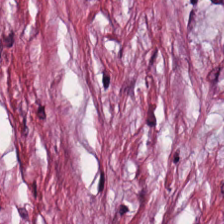Brightfield. Hematoxylin-and-eosin stained section. FFPE tissue section.
Finding → tumor stroma.
